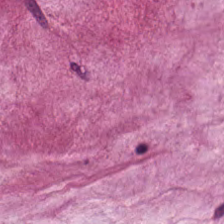H&E-stained tissue section showing mucus.
